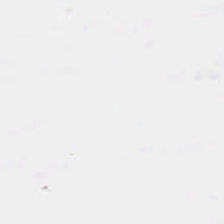The field content is background (no tissue).
